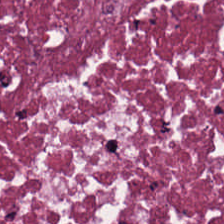H&E · 224×224 px patch.
The tissue class is cellular debris.
